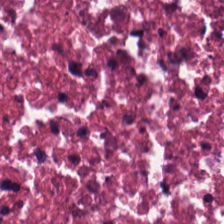Formalin-fixed paraffin-embedded section. Hematoxylin and eosin. The predominant tissue is debris.
